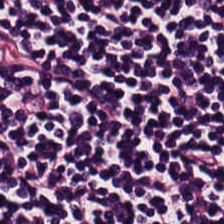Whole-slide-image patch; H&E stain; 224×224 pixel tile.
{"tissue_type": "lymphocytic infiltrate"}
